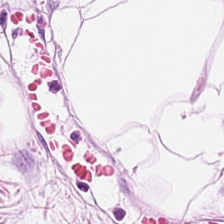FFPE. Hematoxylin-and-eosin stained section. WSI patch — This patch shows adipose tissue.
